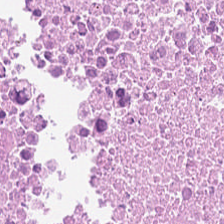H&E stain.
This patch shows debris.
